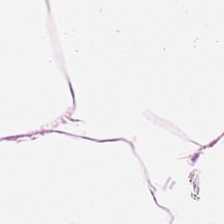H&E-stained tissue section. Q: What is shown here?
A: It is fat tissue.
